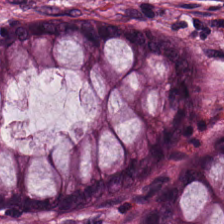FFPE · H&E stain. Tissue class: normal colonic mucosa.
